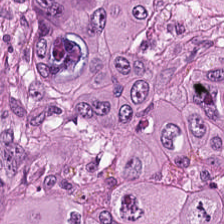H&E. Q: What does this patch show?
A: This is tumor epithelium.
